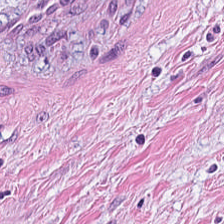H&E-stained tissue section. Showing desmoplastic stroma.
